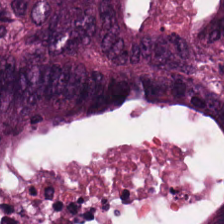Hematoxylin and eosin. Tissue type = tumor epithelium.
